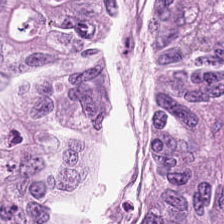0.5 µm per pixel. H&E.
Predominantly malignant epithelium.
